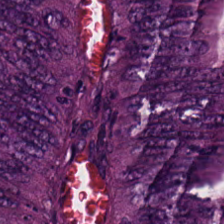H&E stain · 20× equivalent magnification — Q: Identify the tissue.
A: Colorectal adenocarcinoma.
